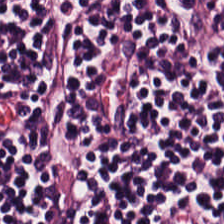FFPE; H&E stain.
Predominantly lymphocyte aggregate.
